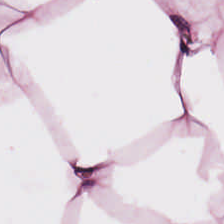Hematoxylin-and-eosin stained section. Showing adipose tissue.
